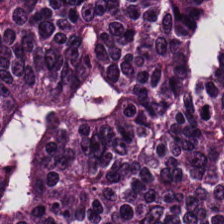224×224 px tile. Whole-slide-image patch. H&E stain.
The tissue here is malignant epithelium.
